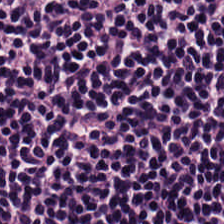Hematoxylin and eosin — Q: Identify the tissue.
A: Lymphocytes.
